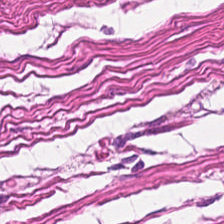Tissue class — smooth-muscle tissue.
